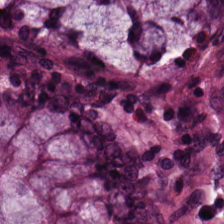Brightfield. H&E stain.
Showing non-neoplastic colon mucosa.
